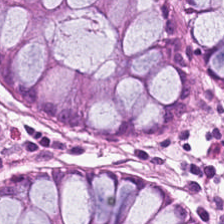H&E-stained section; the field shows benign colonic mucosa.
